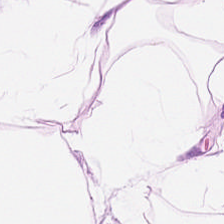H&E-stained tissue section; whole-slide-image patch; 224×224 pixel tile.
Tissue: fat tissue.
